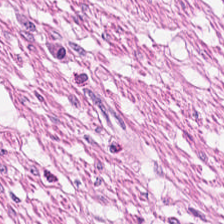Formalin-fixed paraffin-embedded section · H&E — Predominantly muscularis.
